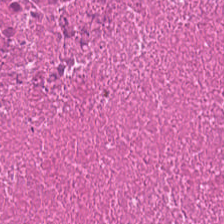H&E stain.
The tissue type is necrotic debris.
